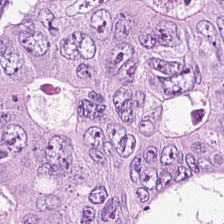H&E; brightfield microscopy. Q: What is shown here?
A: The field shows adenocarcinoma.
